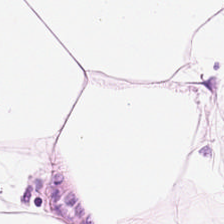H&E stain. 224×224 pixel tile — Tissue = adipose.
